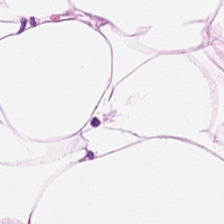Q: What is shown in this field?
A: Adipose tissue.
